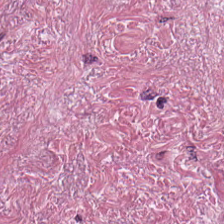Tumor stroma.
